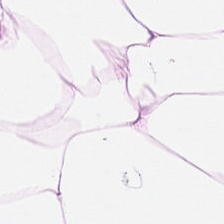Stain: H&E stain.
Classification: adipose tissue.
